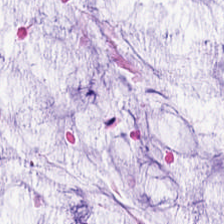H&E — Finding → mucin.
